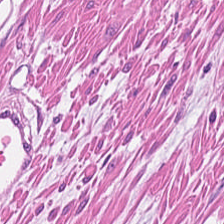Hematoxylin and eosin — Predominant tissue = muscularis.
